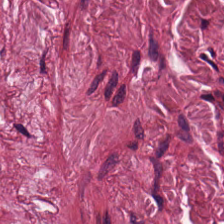FFPE tissue section; hematoxylin-and-eosin stained section. This field is tumor stroma.
